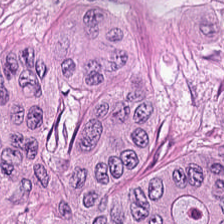Formalin-fixed paraffin-embedded section; hematoxylin-and-eosin stained section — Predominant tissue — colorectal adenocarcinoma epithelium.
